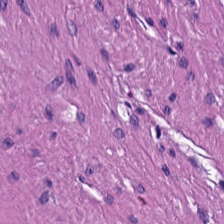Predominantly smooth muscle.
